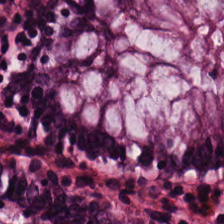Showing benign colonic mucosa.
